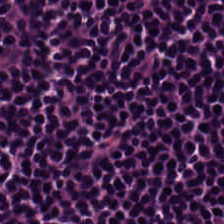H&E stain — Histology → lymphoid infiltrate.
